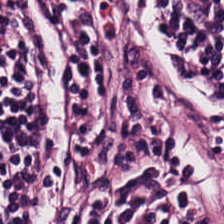Classification — lymphoid infiltrate.
